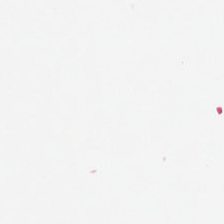Hematoxylin and eosin. Field content: no tissue.
